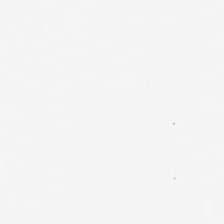H&E-stained tissue section. Brightfield microscopy. 0.5 µm/px — Q: What does this patch show?
A: No tissue.
